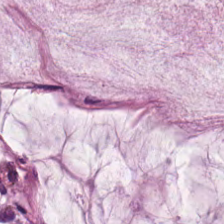Hematoxylin-and-eosin stained section — Tissue class = mucin.
